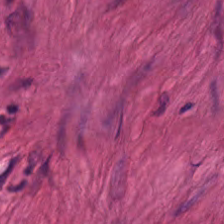H&E stain.
This field is smooth muscle.
